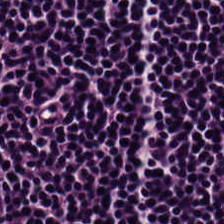Stain: hematoxylin and eosin.
Predominant tissue: lymphocyte aggregate.
